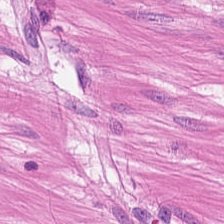H&E.
Predominantly smooth-muscle tissue.
